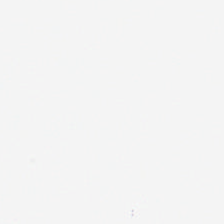H&E stain. FFPE tissue section. Q: Classify this patch.
A: The field shows background.
